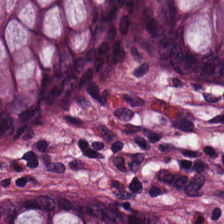H&E.
Finding — non-neoplastic colon mucosa.
